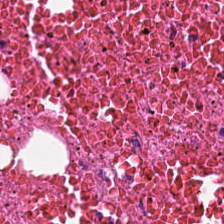H&E stain. Necrotic debris.
